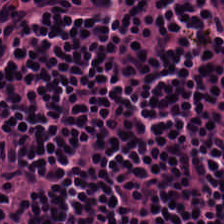Hematoxylin-and-eosin stained section · WSI patch. Lymphocytic infiltrate.
